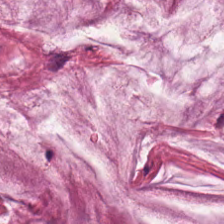Stain: H&E.
Tile size: 224×224 pixel tile.
Resolution: 20× equivalent magnification.
Tissue: mucus.
